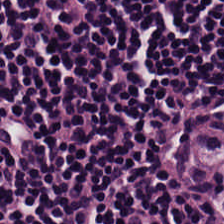FFPE tissue section · H&E stain · 20× equivalent magnification. Tissue: lymphoid infiltrate.
